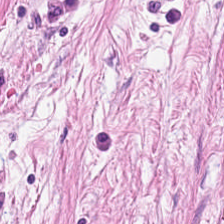224×224 px patch; hematoxylin and eosin. Histology → tumor stroma.
